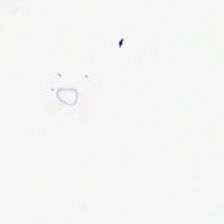Stain: hematoxylin and eosin.
Acquisition: whole-slide-image patch.
Content: empty background.
